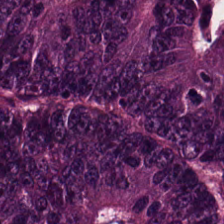0.5 µm per pixel · hematoxylin and eosin — This field is malignant epithelium.
